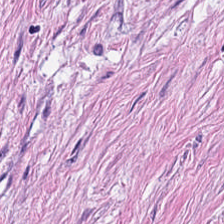Tissue class = muscularis.
